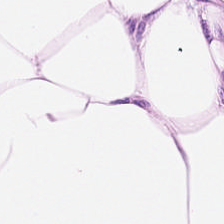H&E-stained tissue section — {"tissue_type": "adipocytes"}
